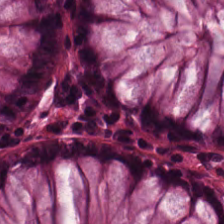Stain: H&E.
Classification: normal colon mucosa.
